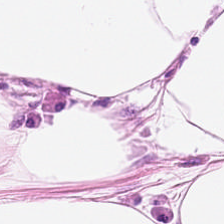H&E stain — Q: Identify the tissue.
A: This is adipose.
